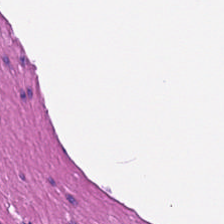Stain: hematoxylin and eosin.
Tissue class: smooth muscle.
